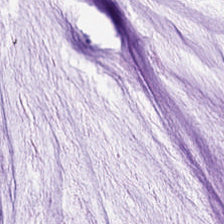Hematoxylin-and-eosin stained section.
Tissue class — mucin.
